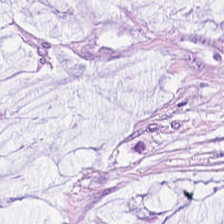H&E. 0.5 microns per pixel — Impression → mucin.
